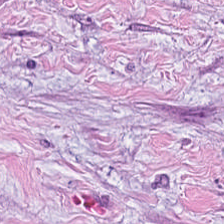Hematoxylin-and-eosin stained section — Impression → tumor-associated stroma.
